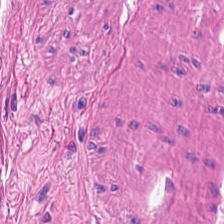Q: What tissue is shown?
A: It is smooth-muscle tissue.
